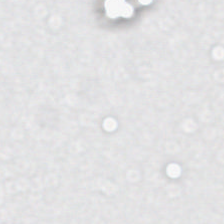Hematoxylin-and-eosin stained section; 224×224 px patch.
Classification: background (no tissue).
